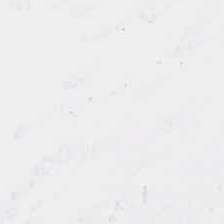Finding — no tissue.
